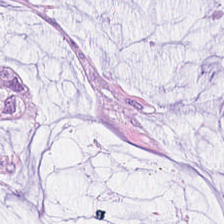Mucin.
